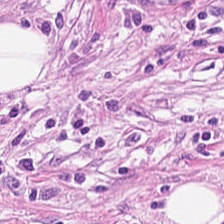The tissue here is desmoplastic stroma.
